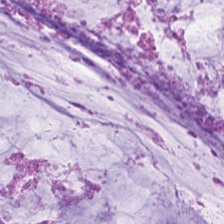H&E-stained tissue section · FFPE. Q: What is shown in this field?
A: The field shows mucus.
